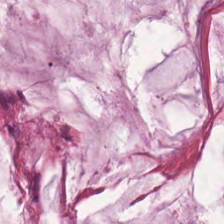H&E. Finding → mucus.
